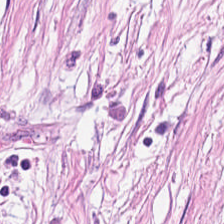H&E-stained tissue section. Predominantly tumor-associated stroma.
